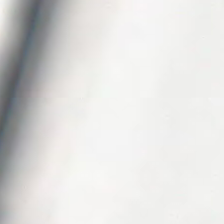H&E-stained tissue section. Finding — background (no tissue).
